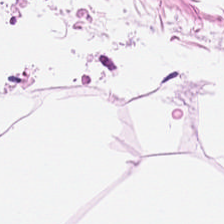Hematoxylin-and-eosin stained section. Predominantly adipose tissue.
